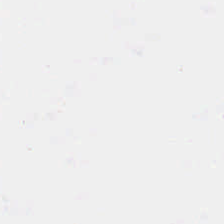Classification — background (no tissue).
